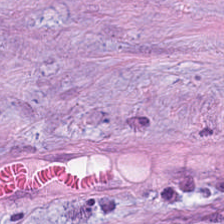H&E stain. Predominant tissue: cancer-associated stroma.
